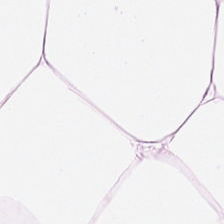Hematoxylin-and-eosin stained section — Q: What is the predominant tissue type?
A: It is adipose.
